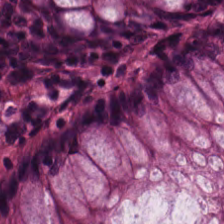Hematoxylin and eosin — This patch shows non-neoplastic colon mucosa.
